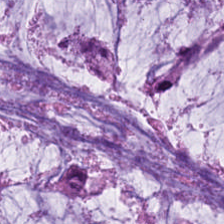Stain: H&E.
Tissue type: mucin.
